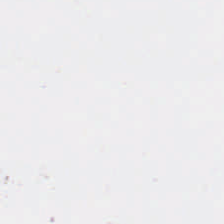Hematoxylin-and-eosin stained section. Classification: background (no tissue).
